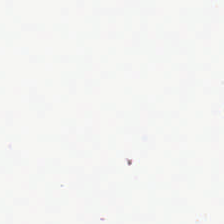H&E. Content — empty background.
